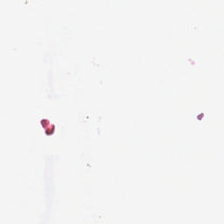H&E.
Classification: background (no tissue).
